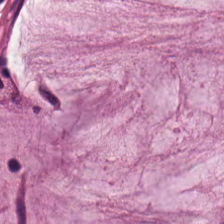H&E-stained tissue section.
Classification = mucus.
